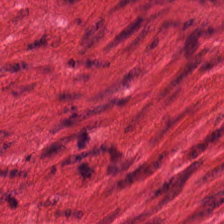Hematoxylin and eosin — Q: What type of tissue is this?
A: Muscularis.
